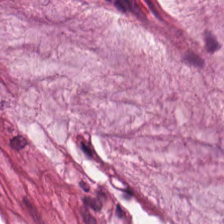H&E.
Q: What is the predominant tissue type?
A: It is mucin.
